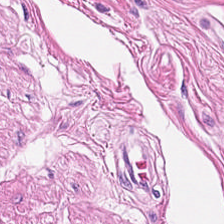H&E-stained tissue section — This patch shows smooth muscle.
